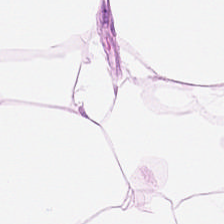H&E — adipose tissue.
